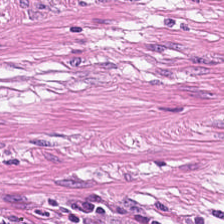H&E-stained tissue section.
This field is smooth-muscle tissue.
